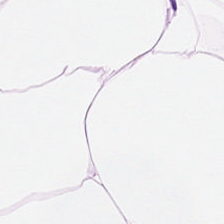H&E-stained tissue section; formalin-fixed paraffin-embedded section. {"tissue_type": "adipocytes"}
